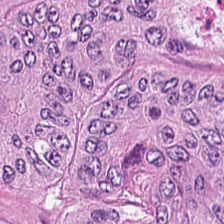{"tissue_type": "colorectal adenocarcinoma epithelium"}
